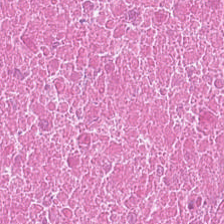Showing necrotic debris.
